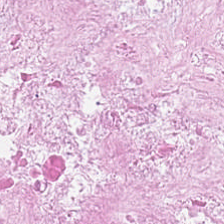Tissue class — cellular debris.
